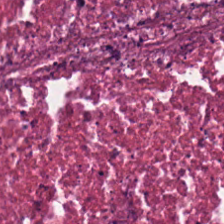Hematoxylin and eosin — The predominant tissue is necrotic debris.
